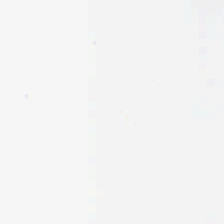H&E · FFPE — Impression → background.
